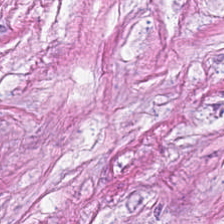Hematoxylin-and-eosin stained section; FFPE tissue section.
Predominantly tumor stroma.
